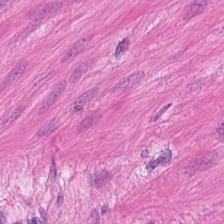H&E-stained tissue section.
Smooth muscle.
